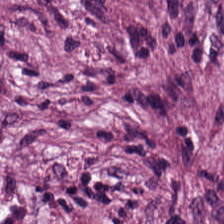Tissue class: cancer-associated stroma.
